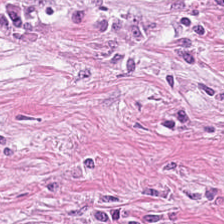Stain: H&E stain.
Tissue: tumor-associated stroma.
